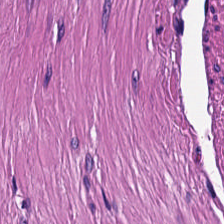H&E patch showing smooth-muscle tissue.
